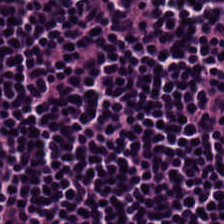224×224 px tile. Hematoxylin and eosin — Tissue type: lymphocytic infiltrate.
